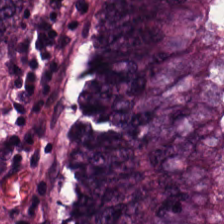H&E-stained tissue section · whole-slide-image patch · 224×224 px tile — This field is malignant epithelium.
